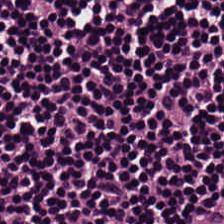FFPE tissue section. H&E stain. This field is lymphocytes.
